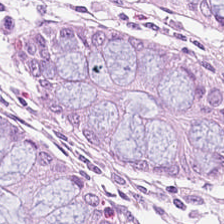Predominant tissue: normal colonic mucosa.
